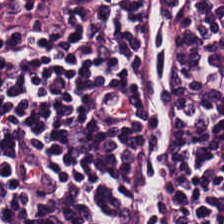H&E-stained tissue section. Predominantly lymphoid infiltrate.
